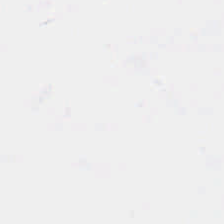Background — no tissue in this field.
